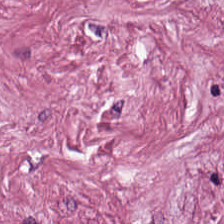Predominant tissue — tumor stroma.
